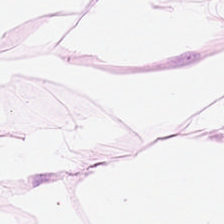FFPE tissue section. Hematoxylin-and-eosin stained section.
Q: What is shown in this field?
A: It is adipocytes.
